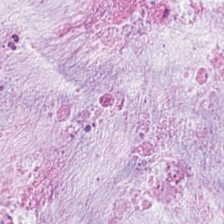Mucin.
